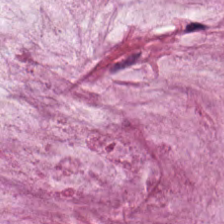0.5 microns per pixel. Hematoxylin and eosin — Tissue class: mucus.
